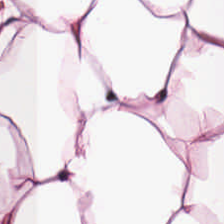H&E stain · WSI patch.
Showing adipocytes.
